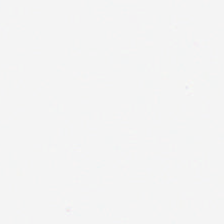224×224 px patch · H&E stain.
This field is background (no tissue).
